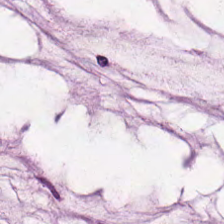Mucus.
